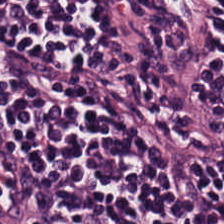Brightfield microscopy; H&E — This field is lymphoid infiltrate.
